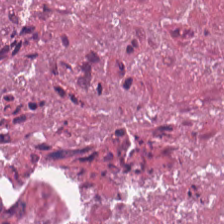Hematoxylin and eosin.
{"tissue_type": "necrotic debris"}
